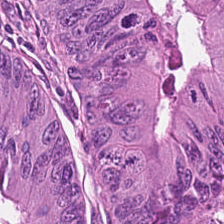H&E stain.
Q: What tissue type is shown here?
A: It is adenocarcinoma.
